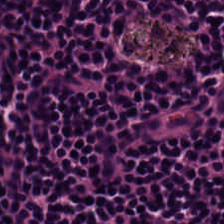H&E.
Lymphocytes.
